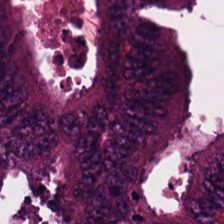Brightfield · H&E stain.
This field is malignant epithelium.
